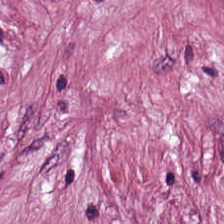Hematoxylin and eosin · 224×224 px tile.
The tissue class is cancer-associated stroma.
